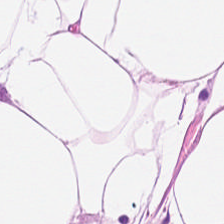H&E.
Tissue = adipose tissue.
